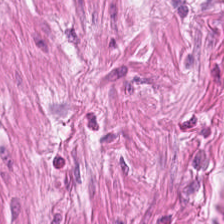H&E; 0.5 microns per pixel — Tissue type: muscularis.
